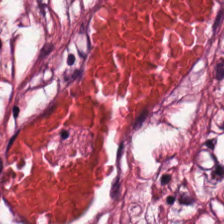Predominantly cancer-associated stroma.
